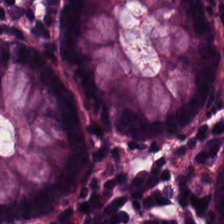H&E-stained tissue section. Histology → normal colon mucosa.
